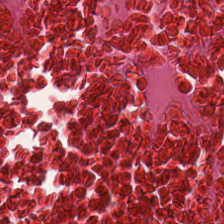Hematoxylin-and-eosin stained section. Whole-slide-image patch.
Tissue class = cellular debris.
